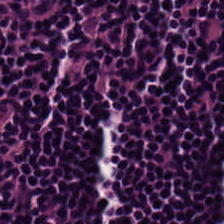Stain: hematoxylin and eosin.
Tissue type: lymphoid infiltrate.
